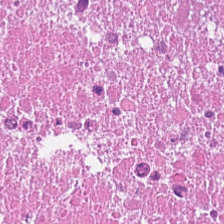Stain: H&E.
Tissue class: cellular debris.
